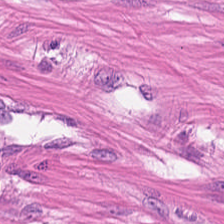H&E-stained tissue section. Brightfield. 224×224 px tile.
Predominant tissue = smooth muscle.
